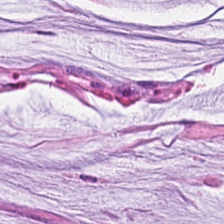Hematoxylin and eosin. Showing mucus.
